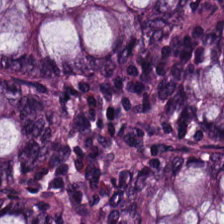Hematoxylin and eosin. Predominantly benign colonic mucosa.
